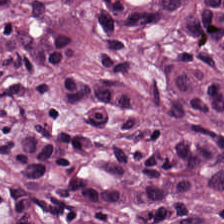224×224 px patch; hematoxylin and eosin. The tissue type is colorectal adenocarcinoma epithelium.
